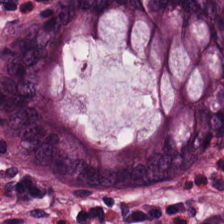H&E. This patch shows normal colonic mucosa.
